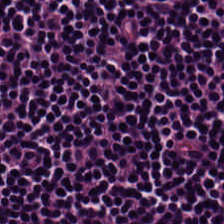Hematoxylin and eosin — Q: What does this patch show?
A: The field shows lymphocyte aggregate.
